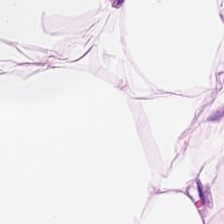H&E-stained tissue section · whole-slide-image patch.
Impression — adipocytes.
